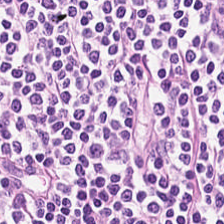H&E-stained tissue section · formalin-fixed paraffin-embedded section — Tissue = lymphocytes.
